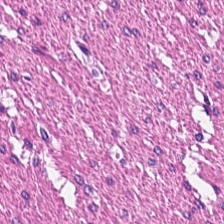224×224 px patch; FFPE; hematoxylin-and-eosin stained section. Predominant tissue — muscularis.
